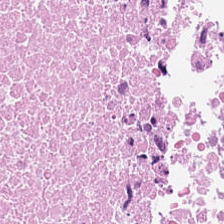H&E-stained tissue section showing debris.
